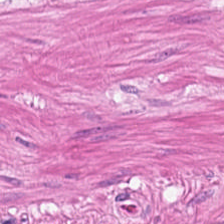H&E-stained section; the field shows smooth muscle.
